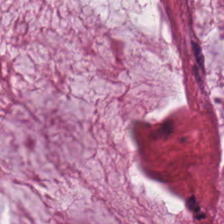WSI patch · H&E. This patch shows extracellular mucin.
